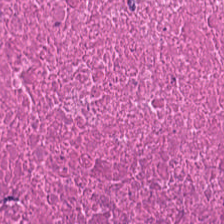H&E stain.
Tissue — cellular debris.
